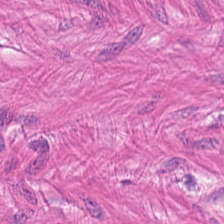Brightfield · hematoxylin and eosin — Impression — smooth-muscle tissue.
